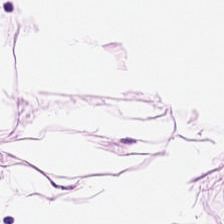H&E stain — Finding — adipose tissue.
